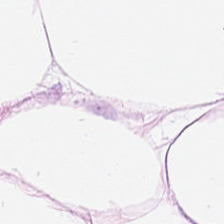H&E stain — Q: What is shown here?
A: It is adipose tissue.
